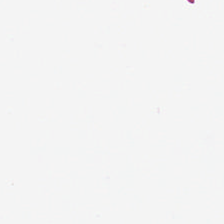Content — background (no tissue).
